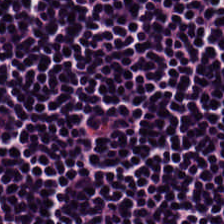Hematoxylin and eosin. Tissue class = lymphocyte aggregate.
